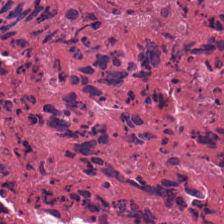Stain: H&E.
Tile size: 224×224 pixel tile.
Classification: debris.
